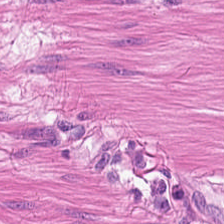This field is smooth muscle.
